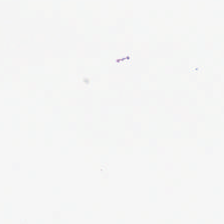H&E stain — No tissue present; background only.
